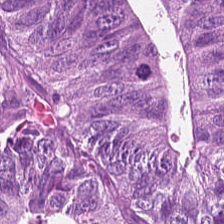Q: What is the predominant tissue type?
A: Tumor epithelium.
